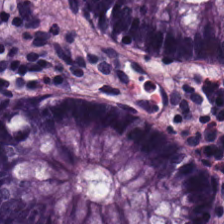Hematoxylin-and-eosin stained section. Q: What does this patch show?
A: It is benign colonic mucosa.
